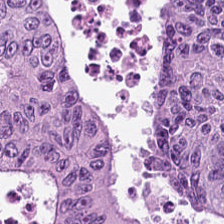Hematoxylin and eosin; 0.5 µm/px.
This patch shows adenocarcinoma.
